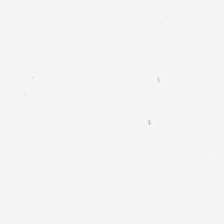0.5 µm per pixel · FFPE · H&E-stained tissue section.
The classification is background (no tissue).
